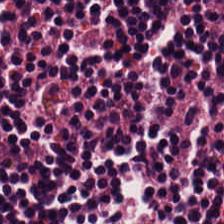The classification is lymphocytes.
